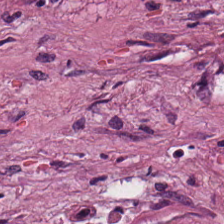H&E-stained tissue section showing desmoplastic stroma.
